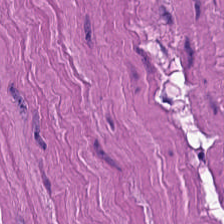224×224 px patch · hematoxylin and eosin · brightfield — Predominantly smooth muscle.
